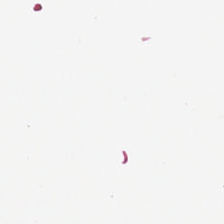Hematoxylin and eosin. Q: What is shown in this field?
A: The field shows background (no tissue).
